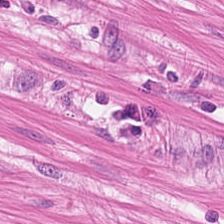Histology — smooth-muscle tissue.
